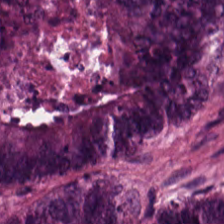224×224 px tile · H&E-stained tissue section. {"tissue_type": "adenocarcinoma"}
